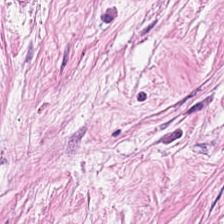Predominantly cancer-associated stroma.
